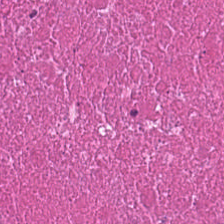Hematoxylin-and-eosin stained section. {"tissue_type": "cellular debris"}
